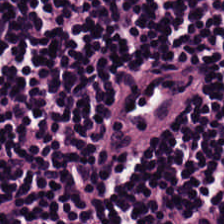H&E stain. {"tissue_type": "lymphocytes"}
